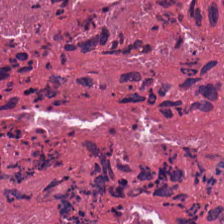Q: What tissue type is shown here?
A: It is cellular debris.
